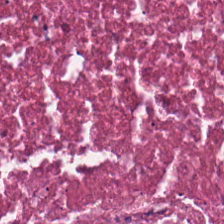H&E stain.
The predominant tissue is debris.
